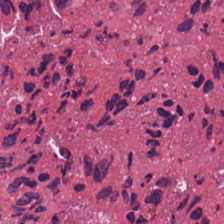0.5 microns per pixel · H&E-stained tissue section — Predominantly debris.
